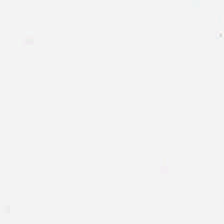Stain: H&E-stained tissue section.
Acquisition: brightfield.
Tile size: 224×224 pixel tile.
Classification: empty background.
